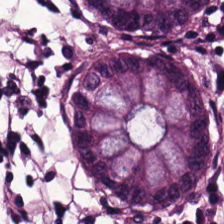0.5 µm/px; hematoxylin and eosin — The tissue here is non-neoplastic colon mucosa.
